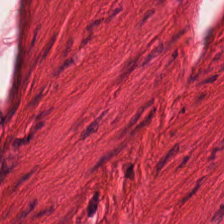H&E patch showing smooth-muscle tissue.
